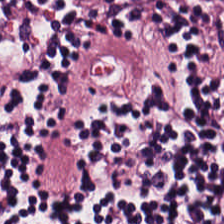Stain: hematoxylin-and-eosin stained section.
Tissue class: lymphocytic infiltrate.
